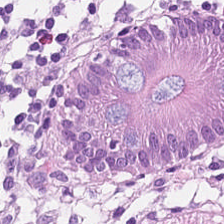The predominant tissue is non-neoplastic colon mucosa.
